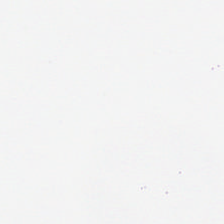H&E-stained tissue section.
Empty field — empty background.
